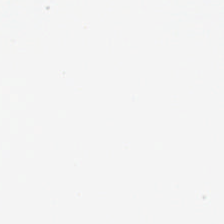0.5 microns per pixel. Hematoxylin-and-eosin stained section. Background — no tissue in this field.
